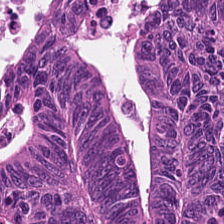Finding → colorectal adenocarcinoma.
